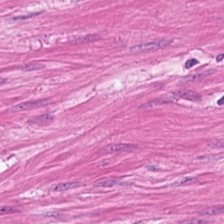0.5 microns per pixel; 224×224 px patch; H&E stain. The tissue class is smooth-muscle tissue.
